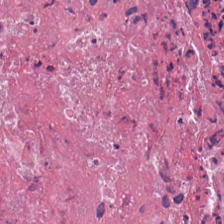H&E stain · formalin-fixed paraffin-embedded section — The tissue type is necrotic debris.
